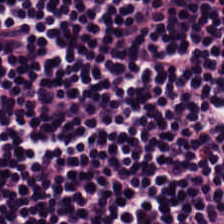Hematoxylin-and-eosin stained section.
This patch shows lymphocytes.
